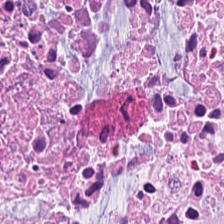Q: What type of tissue is this?
A: This is cellular debris.
